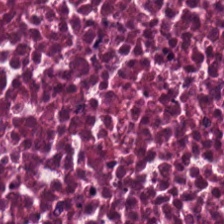Impression → necrotic debris.
